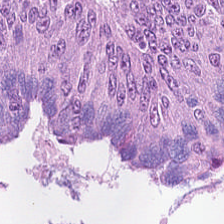224×224 px patch; H&E; brightfield.
Tumor epithelium.
